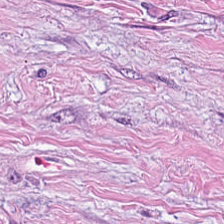0.5 µm/px; H&E — Impression — tumor stroma.
